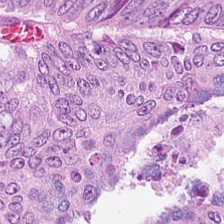FFPE · hematoxylin-and-eosin stained section · 20× equivalent magnification — The tissue is tumor epithelium.
